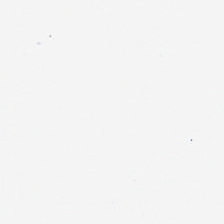20× equivalent magnification; hematoxylin-and-eosin stained section. Q: What is shown in this field?
A: It is background.
